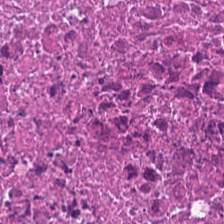H&E — Tissue — debris.
